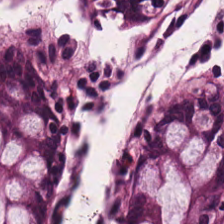H&E stain. Predominant tissue: normal colon mucosa.
